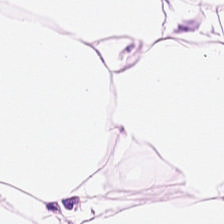Hematoxylin and eosin; FFPE tissue section.
Impression — adipocytes.
